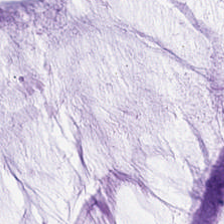Hematoxylin-and-eosin stained section — Q: What type of tissue is this?
A: The field shows mucin.
